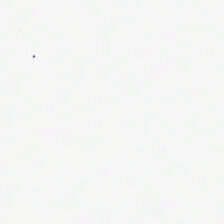FFPE tissue section · hematoxylin and eosin.
This patch shows background.
